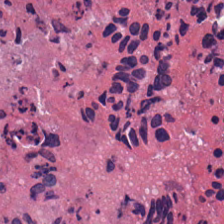The predominant tissue is debris.
